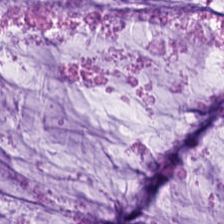Formalin-fixed paraffin-embedded section; H&E stain. Predominantly mucin.
